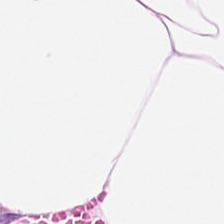Stain: H&E-stained tissue section.
Acquisition: brightfield.
Tile size: 224×224 px tile.
Classification: adipose.
